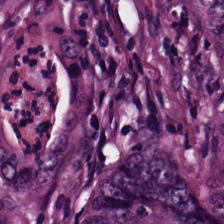Hematoxylin and eosin. Showing malignant epithelium.
